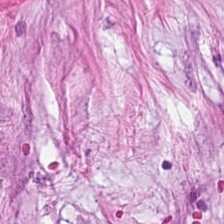H&E-stained tissue section. Q: Identify the tissue.
A: It is desmoplastic stroma.
